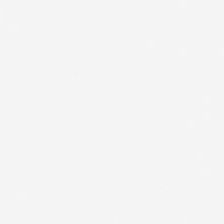H&E-stained tissue section — Empty field — no tissue.
